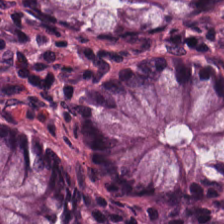Hematoxylin-and-eosin stained section. 20× equivalent magnification — Tissue = non-neoplastic colon mucosa.
